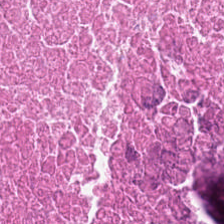H&E stain. Brightfield. 0.5 microns per pixel — This patch shows cellular debris.
